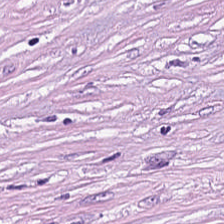Tissue type — tumor stroma.
